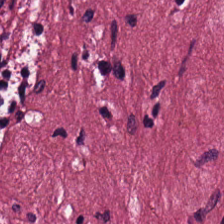H&E-stained tissue section. The tissue type is cancer-associated stroma.
